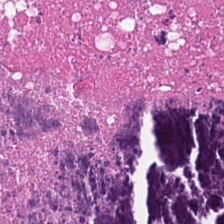H&E stain · FFPE.
Classification = cellular debris.
